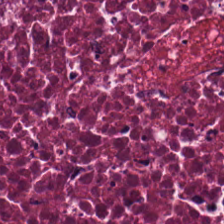This field is necrotic debris.
